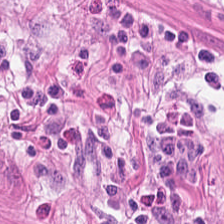FFPE; H&E stain. The tissue type is smooth muscle.
